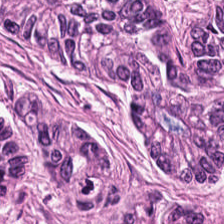Hematoxylin-and-eosin stained section.
Q: What is the predominant tissue type?
A: It is malignant epithelium.
